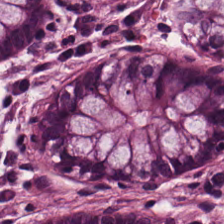H&E — The tissue here is normal colon mucosa.
